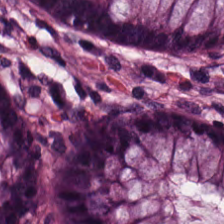H&E stain. Q: Classify this patch.
A: Normal colonic mucosa.
